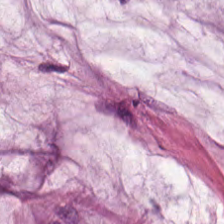H&E stain. {"tissue_type": "mucin"}
